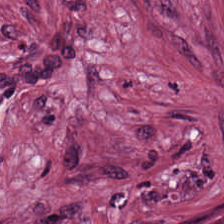WSI patch · H&E stain.
The tissue here is cancer-associated stroma.
